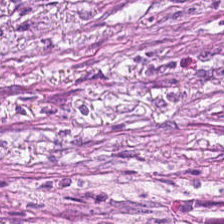Impression — tumor-associated stroma.
